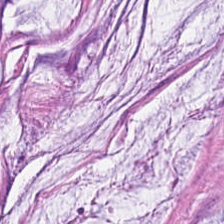Q: What tissue type is shown here?
A: It is mucus.
